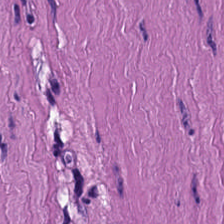0.5 µm per pixel. Whole-slide-image patch. H&E — {"tissue_type": "muscularis"}
